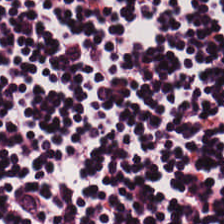H&E stain.
This patch shows lymphocytic infiltrate.
